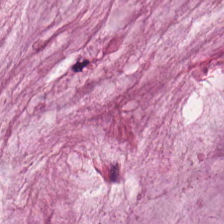WSI patch. Hematoxylin and eosin. Q: What tissue type is shown here?
A: It is mucin.
